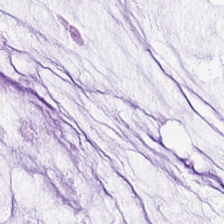Hematoxylin and eosin; 20× equivalent magnification.
Classification: mucus.
